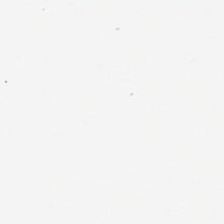H&E; 224×224 pixel tile. Content: background (no tissue).
